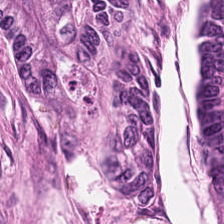H&E stain; FFPE; WSI patch. This patch shows tumor epithelium.
